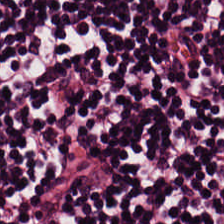Brightfield. Hematoxylin-and-eosin stained section.
This patch shows lymphoid infiltrate.
